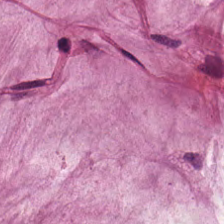H&E stain.
This field is mucin.
